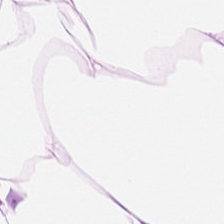H&E-stained tissue section; 224×224 px tile; FFPE tissue section. Impression — fat tissue.
